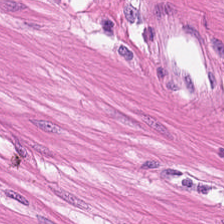224×224 px patch; hematoxylin-and-eosin stained section. The tissue here is muscularis.
